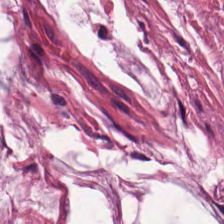Classification: mucin.
